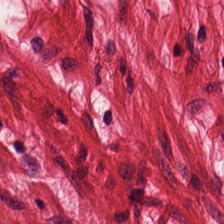Hematoxylin-and-eosin stained section — Classification: smooth-muscle tissue.
